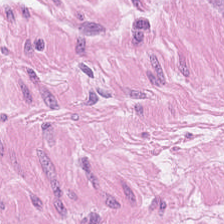H&E stain; formalin-fixed paraffin-embedded section; 224×224 pixel tile.
Tissue class — smooth-muscle tissue.
